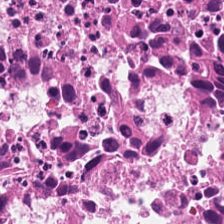The tissue type is cellular debris.
